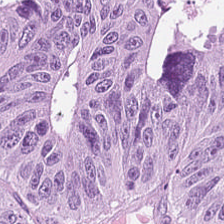H&E. Q: What does this patch show?
A: Tumor epithelium.
